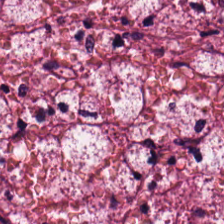H&E stain — Classification = tumor stroma.
